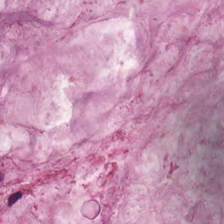H&E stain — The tissue here is mucus.
